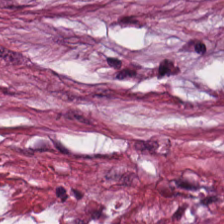Tissue class = tumor stroma.
